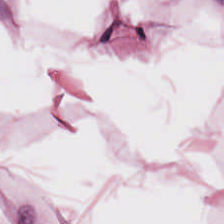H&E; FFPE. Tissue type = fat tissue.
